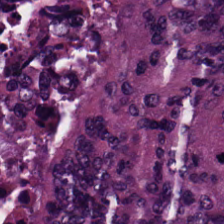H&E-stained tissue section; whole-slide-image patch; formalin-fixed paraffin-embedded section.
Tissue class = tumor epithelium.
